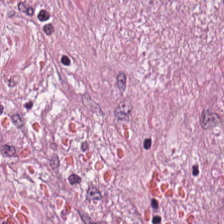Hematoxylin and eosin — Histology — tumor stroma.
